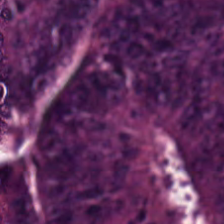224×224 pixel tile · H&E.
Impression → colorectal adenocarcinoma epithelium.
